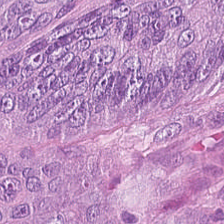H&E. Whole-slide-image patch. 224×224 pixel tile — Q: What is shown here?
A: The field shows colorectal adenocarcinoma epithelium.
